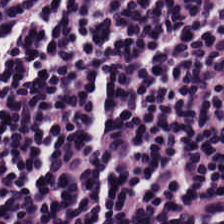Stain: H&E.
Preparation: FFPE.
Tissue: lymphoid infiltrate.
